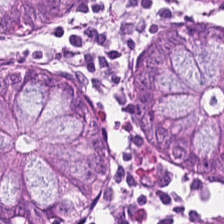20× equivalent magnification · H&E-stained tissue section — This field is non-neoplastic colon mucosa.
